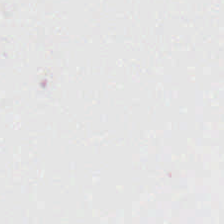H&E stain — This patch shows background.
